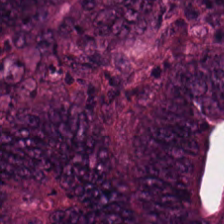224×224 px tile. 0.5 microns per pixel. H&E.
The predominant tissue is tumor epithelium.
